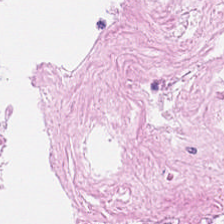H&E; 0.5 microns per pixel.
Predominantly necrotic debris.
